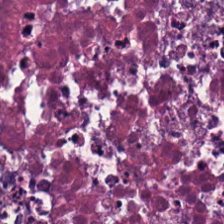H&E. Classification = debris.
